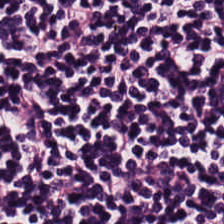Brightfield; H&E stain; formalin-fixed paraffin-embedded section.
Predominant tissue — lymphocytes.
